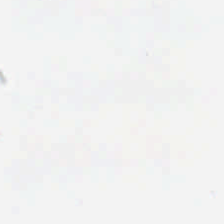{"content": "background"}
